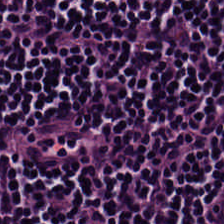224×224 pixel tile · H&E stain · FFPE tissue section. The tissue class is lymphocytic infiltrate.
